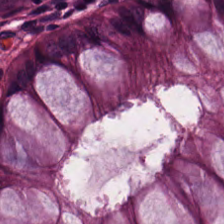Hematoxylin and eosin · formalin-fixed paraffin-embedded section.
This patch shows normal colon mucosa.
